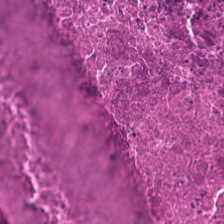224×224 px tile; H&E-stained tissue section — Predominant tissue — cellular debris.
